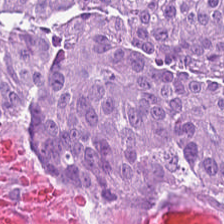224×224 px tile · 0.5 µm per pixel · hematoxylin-and-eosin stained section — The tissue here is adenocarcinoma.
